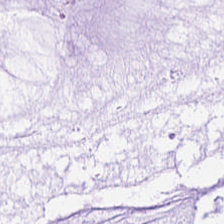Formalin-fixed paraffin-embedded section · H&E-stained tissue section. Classification — extracellular mucin.
